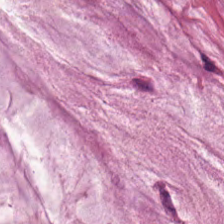H&E-stained tissue section.
Q: Classify this patch.
A: Mucin.
